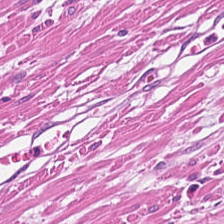H&E — Q: What tissue is shown?
A: It is smooth-muscle tissue.
